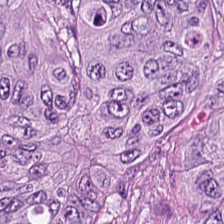Hematoxylin-and-eosin stained section. The tissue here is adenocarcinoma.
